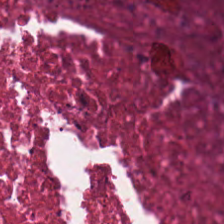Showing cellular debris.
